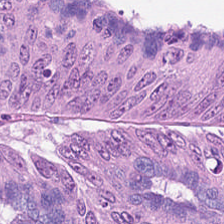H&E.
This patch shows malignant epithelium.
